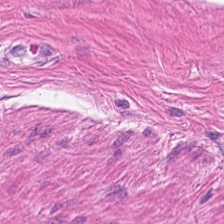H&E-stained tissue section — {"tissue_type": "muscularis"}
